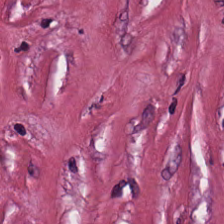H&E stain.
Tissue — desmoplastic stroma.
